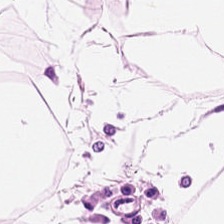This patch shows adipose.
